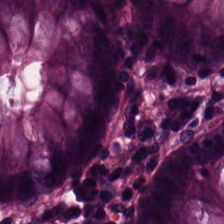Stain: hematoxylin and eosin.
Preparation: FFPE tissue section.
Resolution: 20× equivalent magnification.
Tissue: normal colon mucosa.
